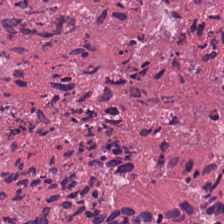Hematoxylin and eosin. Brightfield.
Histology — cellular debris.
